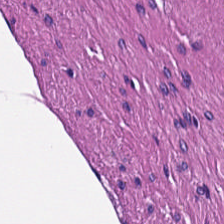H&E. Formalin-fixed paraffin-embedded section. 0.5 µm per pixel. Tissue type = smooth muscle.
